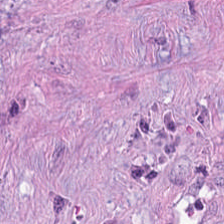Formalin-fixed paraffin-embedded section · 224×224 px tile · H&E stain.
Q: What tissue type is shown here?
A: The field shows desmoplastic stroma.
